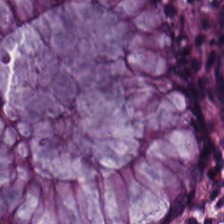H&E-stained tissue section — Q: Classify this patch.
A: This is benign colonic mucosa.
